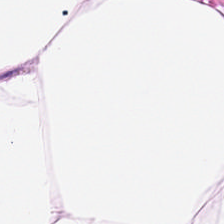0.5 µm per pixel. H&E.
Histology → adipose.
